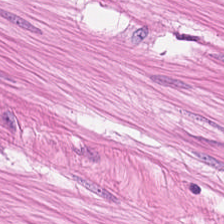Finding → smooth muscle.
